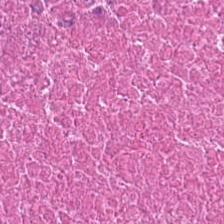H&E-stained tissue section.
Q: What is shown in this field?
A: This is cellular debris.
